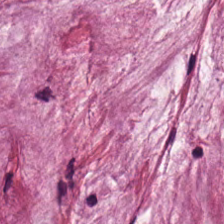H&E-stained tissue section; 0.5 µm/px.
Tissue = mucin.
